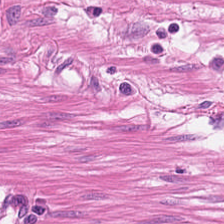Brightfield microscopy · H&E.
Tissue type — muscularis.
